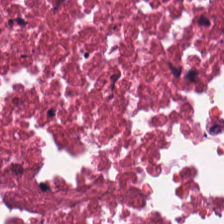H&E — The tissue here is debris.
